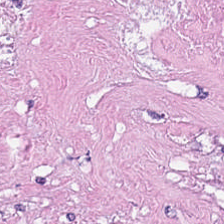Brightfield microscopy · H&E-stained tissue section — The tissue here is debris.
